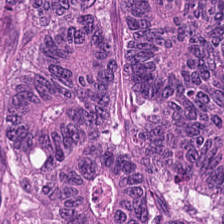H&E stain · 224×224 px tile. Finding → colorectal adenocarcinoma epithelium.
